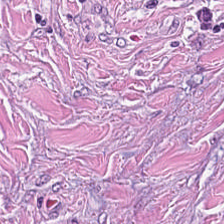H&E-stained tissue section.
This field is tumor-associated stroma.
